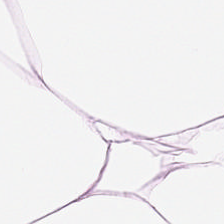Hematoxylin-and-eosin stained section; 224×224 px patch.
Tissue: adipose.
